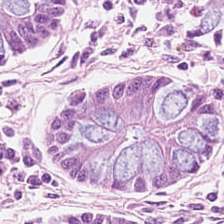Hematoxylin-and-eosin stained section.
The predominant tissue is benign colonic mucosa.
